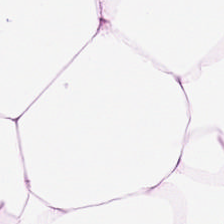Tissue class = adipose tissue.
